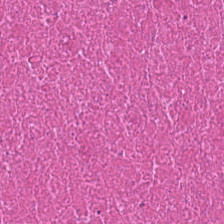The predominant tissue is cellular debris.
